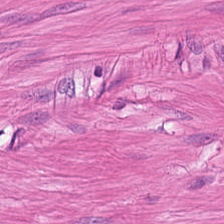Stain: hematoxylin and eosin.
Tissue class: muscularis.
